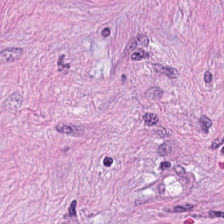Impression — tumor stroma.
